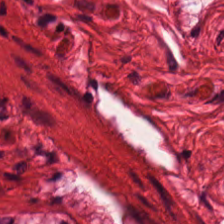H&E stain — Tissue class = muscularis.
